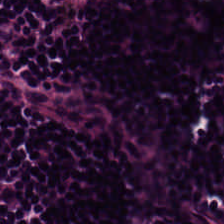H&E.
Q: What tissue type is shown here?
A: Lymphocyte aggregate.
